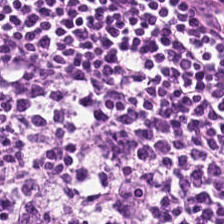H&E-stained tissue section. Q: What is the predominant tissue type?
A: The field shows lymphoid infiltrate.
